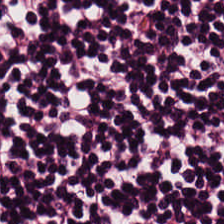H&E-stained tissue section · whole-slide-image patch · FFPE.
The tissue type is lymphocytic infiltrate.
